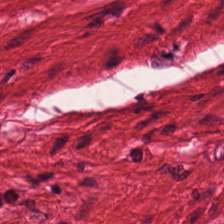H&E-stained tissue section — Histology → smooth muscle.
